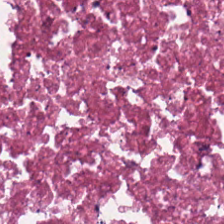H&E stain.
Q: What does this patch show?
A: Debris.
